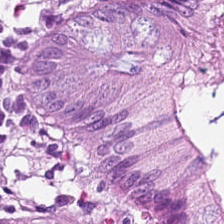Hematoxylin and eosin · brightfield. Impression — benign colonic mucosa.
